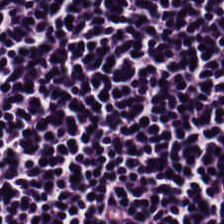Stain: H&E.
Tissue class: lymphocytes.
